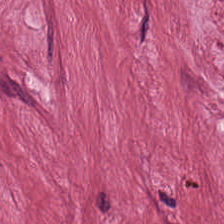Whole-slide-image patch. H&E-stained tissue section — Q: What is shown here?
A: Desmoplastic stroma.
